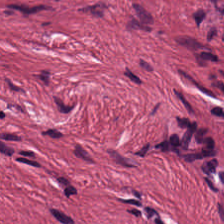Impression — desmoplastic stroma.
